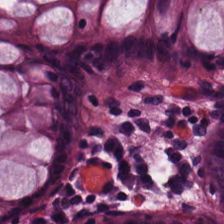Hematoxylin and eosin; 224×224 px tile; 0.5 microns per pixel. Tissue class: non-neoplastic colon mucosa.
